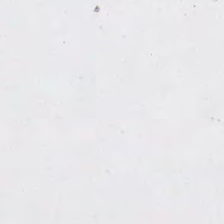H&E stain — Histology — empty background.
